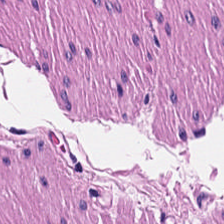H&E-stained tissue section; 224×224 px tile; 20× equivalent magnification — Smooth-muscle tissue.
